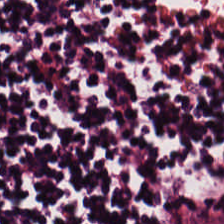This field is lymphocytes.
